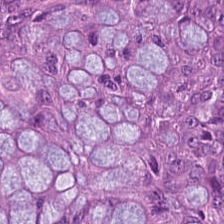H&E stain — Tissue class: malignant epithelium.
